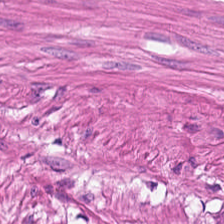H&E-stained tissue section.
Q: What type of tissue is this?
A: Muscularis.
